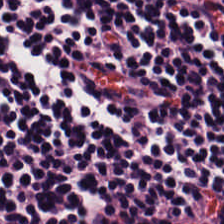Histology → lymphocytes.
